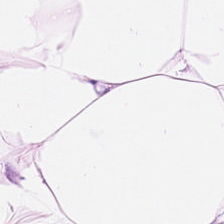224×224 px tile; hematoxylin-and-eosin stained section — Predominant tissue — adipocytes.
